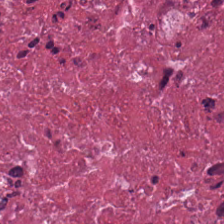H&E — Showing debris.
